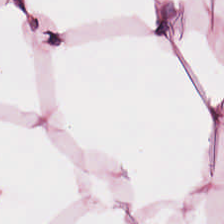Hematoxylin and eosin. FFPE. 0.5 µm/px — This field is fat tissue.
